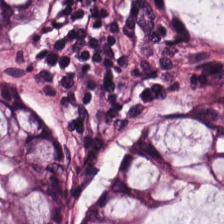Stain: hematoxylin and eosin.
Predominant tissue: normal colonic mucosa.
